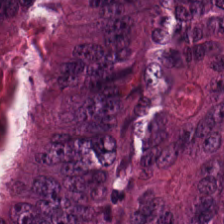Hematoxylin-and-eosin stained section — Q: Identify the tissue.
A: It is malignant epithelium.
